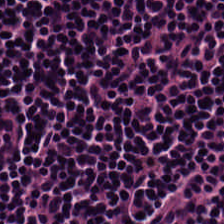H&E-stained tissue section. Formalin-fixed paraffin-embedded section. 224×224 px tile. Predominantly lymphocytes.
